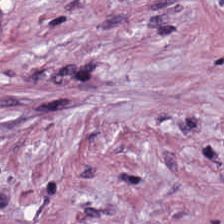0.5 µm/px. H&E. 224×224 px tile. Tissue — desmoplastic stroma.
